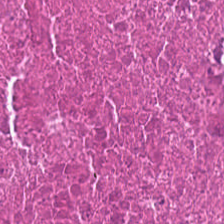H&E. Debris.
